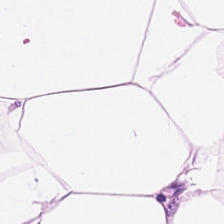H&E stain. Fat tissue.
